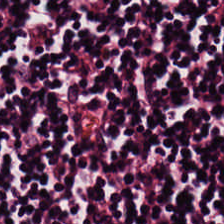H&E-stained tissue section — Showing lymphocytes.
